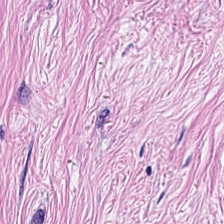H&E-stained tissue section.
The predominant tissue is cancer-associated stroma.
